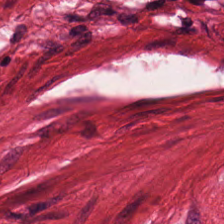H&E-stained section; the field shows muscularis.
